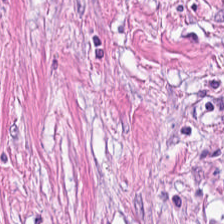{"tissue_type": "cancer-associated stroma"}
